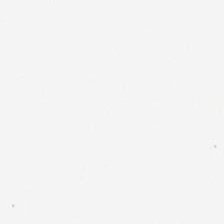Hematoxylin and eosin. The classification is no tissue.
